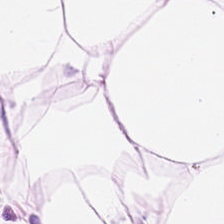H&E-stained tissue section · 0.5 microns per pixel — Histology → adipose.
